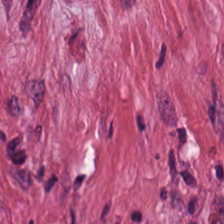Q: What does this patch show?
A: The field shows cancer-associated stroma.
